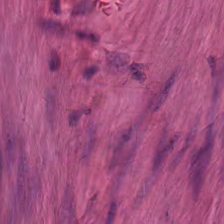H&E-stained tissue section — Classification — muscularis.
